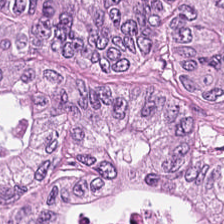Tissue class — colorectal adenocarcinoma epithelium.
